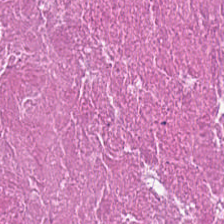H&E · 224×224 px tile — Impression — debris.
